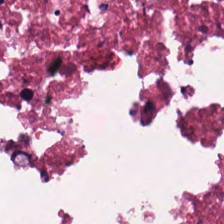Brightfield microscopy · H&E.
Necrotic debris.
